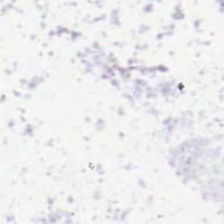H&E — Classification: background (no tissue).
